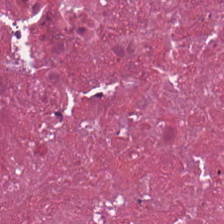Hematoxylin and eosin.
Classification — debris.
